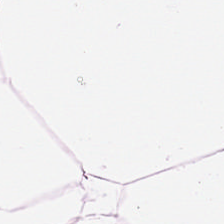H&E. Adipose tissue.
